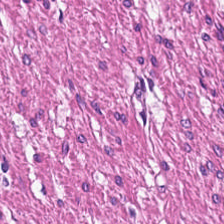Stain: H&E-stained tissue section.
Resolution: 0.5 µm per pixel.
Tile size: 224×224 pixel tile.
Classification: muscularis.
